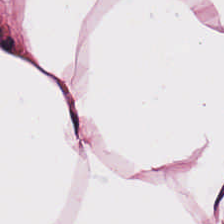WSI patch · H&E stain.
The predominant tissue is adipocytes.
